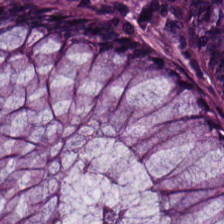20× equivalent magnification · H&E · 224×224 pixel tile.
Tissue = normal colonic mucosa.
